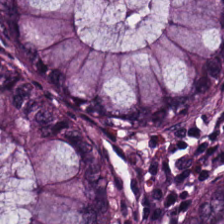Formalin-fixed paraffin-embedded section. 0.5 µm/px. H&E.
Impression → benign colonic mucosa.
